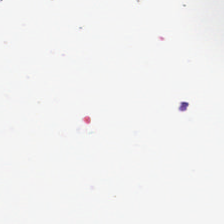The classification is no tissue.
